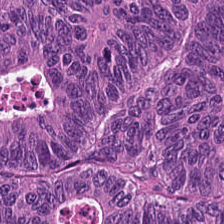Histology — malignant epithelium.
